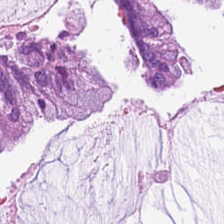0.5 µm/px; 224×224 px patch; H&E stain. The predominant tissue is mucin.
